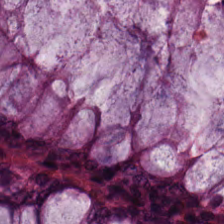H&E-stained tissue section. Tissue class — non-neoplastic colon mucosa.
